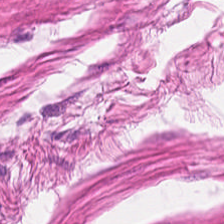Hematoxylin-and-eosin stained section · 20× equivalent magnification · formalin-fixed paraffin-embedded section — Q: Identify the tissue.
A: Smooth-muscle tissue.
